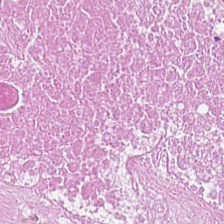H&E · 0.5 µm/px.
The tissue here is cellular debris.
